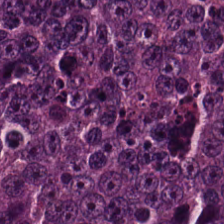H&E · whole-slide-image patch · 0.5 µm per pixel — This patch shows malignant epithelium.
